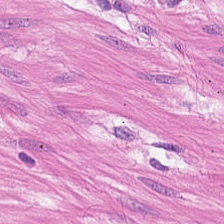Stain: hematoxylin-and-eosin stained section.
Tissue: smooth-muscle tissue.
